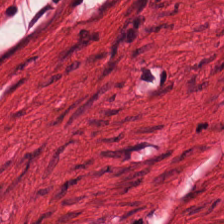Stain: H&E stain.
Tile size: 224×224 px tile.
Classification: muscularis.
